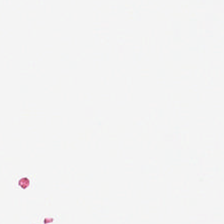Hematoxylin and eosin · formalin-fixed paraffin-embedded section — Content = background (no tissue).
